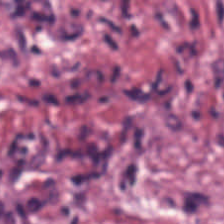Hematoxylin-and-eosin stained section — Tissue class = tumor stroma.
